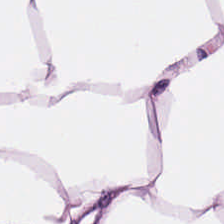FFPE. Hematoxylin and eosin. 20× equivalent magnification.
Tissue: adipocytes.
